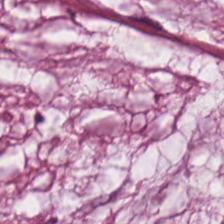Predominant tissue — extracellular mucin.
